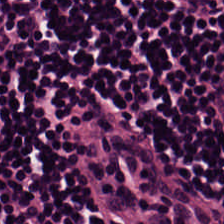Stain: hematoxylin and eosin.
Predominant tissue: lymphocytic infiltrate.
